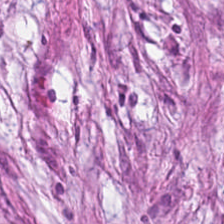Hematoxylin and eosin.
Q: What is the predominant tissue type?
A: This is tumor stroma.
